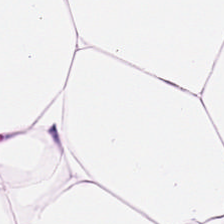224×224 px patch · FFPE tissue section · H&E stain — Q: Classify this patch.
A: The field shows adipose tissue.
